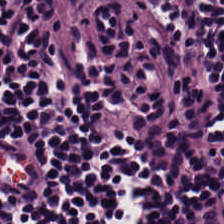Hematoxylin-and-eosin stained section. FFPE. Q: What tissue type is shown here?
A: The field shows lymphoid infiltrate.
